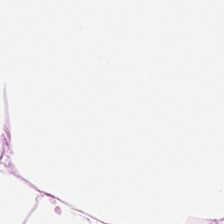Hematoxylin and eosin. Brightfield. FFPE tissue section.
The classification is fat tissue.
